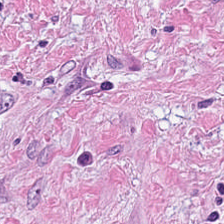Impression — cancer-associated stroma.
